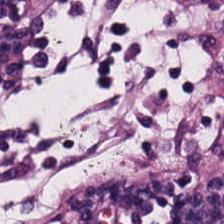Predominantly lymphocytes.
